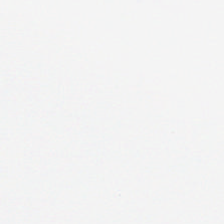Finding → empty background.
